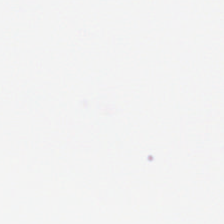Classification = empty background.
